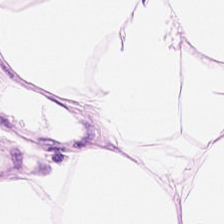Hematoxylin-and-eosin stained section. FFPE. Histology → fat tissue.
